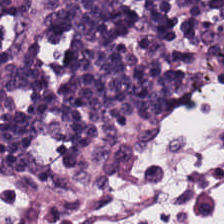H&E stain.
Predominant tissue = lymphoid infiltrate.
